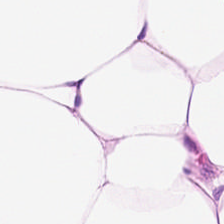Hematoxylin and eosin. FFPE tissue section. Predominant tissue — adipocytes.
